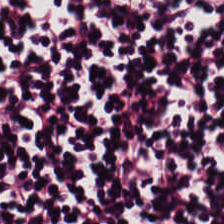Hematoxylin and eosin — This field is lymphocytic infiltrate.
